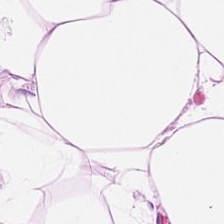Stain: H&E-stained tissue section.
Resolution: 0.5 µm per pixel.
Tissue type: adipose tissue.
